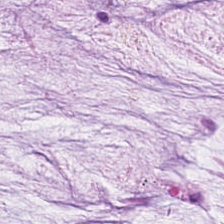Brightfield microscopy; H&E-stained tissue section. {"tissue_type": "extracellular mucin"}
